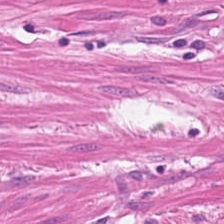0.5 µm per pixel. H&E-stained tissue section. Brightfield microscopy.
Impression — smooth-muscle tissue.
